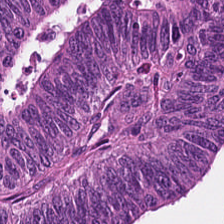Classification — tumor epithelium.
